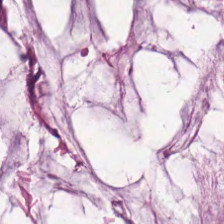Stain: H&E stain.
Predominant tissue: mucin.
